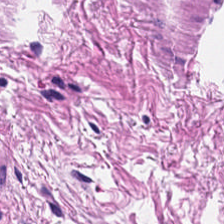Q: What tissue type is shown here?
A: It is smooth muscle.
